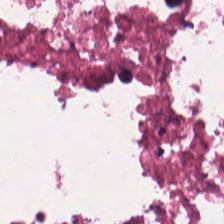0.5 µm per pixel; hematoxylin-and-eosin stained section.
Cellular debris.
